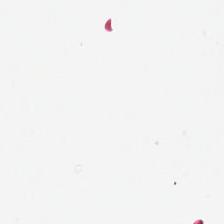The field content is empty background.
